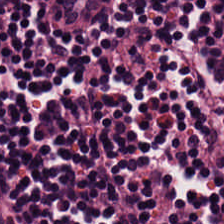Tissue class — lymphocytes.
